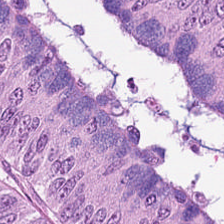20× equivalent magnification. H&E.
Showing malignant epithelium.
